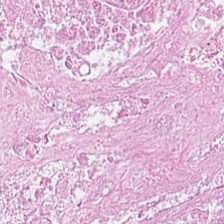H&E stain. Tissue type = necrotic debris.
